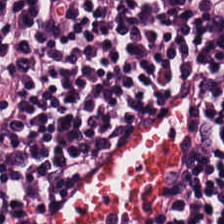Hematoxylin-and-eosin stained section · FFPE tissue section.
This field is lymphocyte aggregate.
